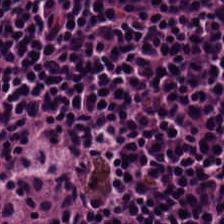H&E stain. Finding — lymphocytic infiltrate.
